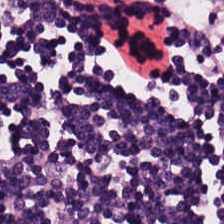Hematoxylin-and-eosin stained section.
Predominantly lymphocytes.
